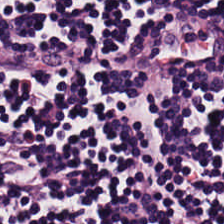This field is lymphoid infiltrate.
